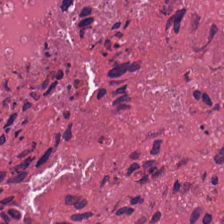H&E.
Q: What is shown in this field?
A: Debris.
